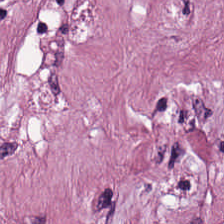H&E-stained tissue section. The predominant tissue is tumor-associated stroma.
